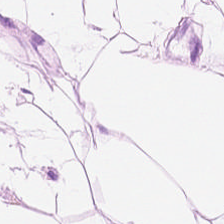20× equivalent magnification · H&E-stained tissue section · whole-slide-image patch — Showing fat tissue.
